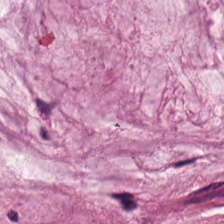H&E — extracellular mucin.
